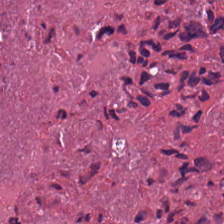224×224 pixel tile; H&E-stained tissue section.
Debris.
